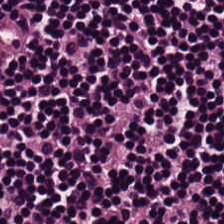H&E patch showing lymphoid infiltrate.
